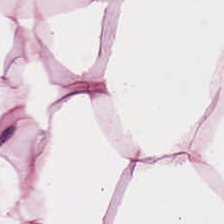H&E. Q: What is shown in this field?
A: It is adipose.
